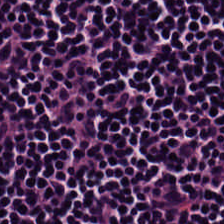Hematoxylin-and-eosin stained section — {"tissue_type": "lymphocyte aggregate"}
